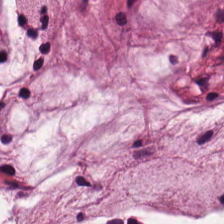Hematoxylin and eosin — {"tissue_type": "mucus"}
